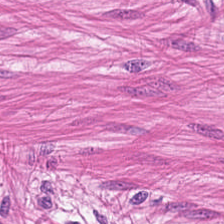H&E-stained tissue section.
Q: Classify this patch.
A: Smooth-muscle tissue.
